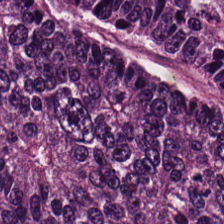{"tissue_type": "tumor epithelium"}
